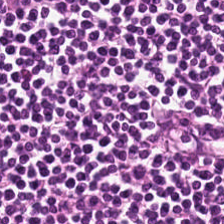H&E-stained tissue section — Lymphocytic infiltrate.
